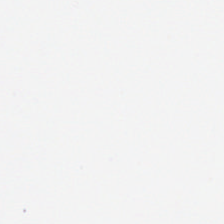H&E stain. Formalin-fixed paraffin-embedded section.
Classification: empty background.
